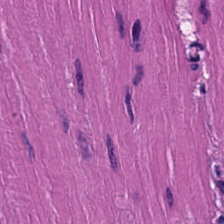H&E-stained tissue section.
Muscularis.
